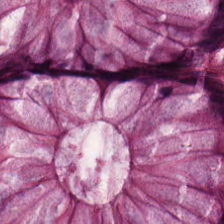0.5 microns per pixel. FFPE tissue section. H&E. The classification is non-neoplastic colon mucosa.
